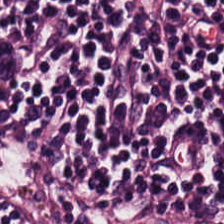H&E-stained tissue section. Q: What tissue type is shown here?
A: The field shows lymphocytic infiltrate.
